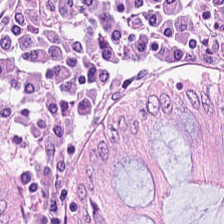H&E · brightfield.
Tissue class: normal colonic mucosa.
